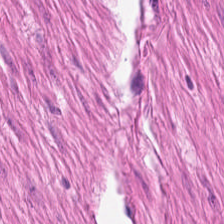H&E.
Q: What does this patch show?
A: It is smooth-muscle tissue.
